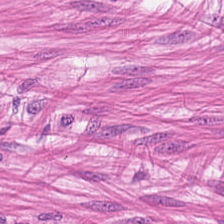WSI patch. Hematoxylin-and-eosin stained section. 224×224 px tile — Showing smooth muscle.
